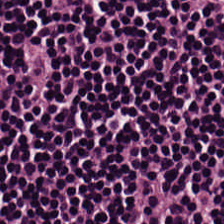H&E. 224×224 pixel tile. 0.5 microns per pixel.
Showing lymphocyte aggregate.
